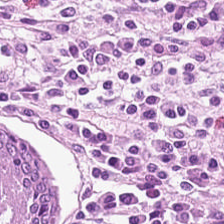H&E stain. {"tissue_type": "non-neoplastic colon mucosa"}
